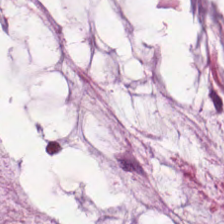Stain: H&E-stained tissue section.
Classification: mucus.
